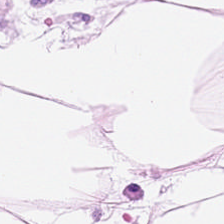H&E-stained tissue section. Predominantly fat tissue.
